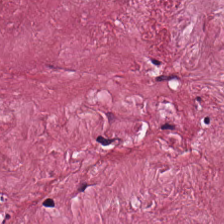Formalin-fixed paraffin-embedded section. Hematoxylin and eosin — {"tissue_type": "desmoplastic stroma"}
